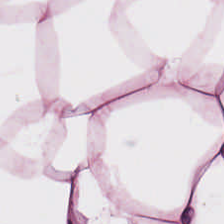H&E; FFPE — The tissue here is adipose.
